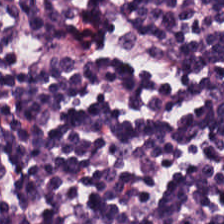H&E — lymphocyte aggregate.
